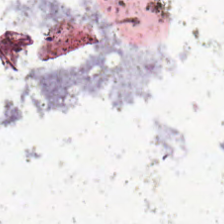Q: What is shown in this field?
A: This is background (no tissue).
